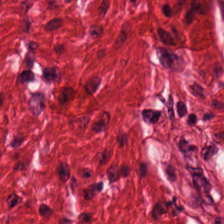H&E-stained tissue section. FFPE. Whole-slide-image patch. Predominant tissue = muscularis.
